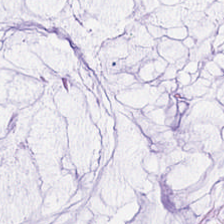Brightfield · 224×224 px tile · hematoxylin-and-eosin stained section — Histology — mucin.
